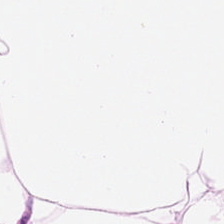H&E-stained tissue section · FFPE. The tissue is adipocytes.
